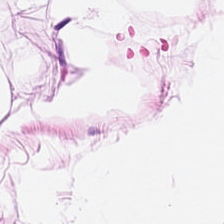Hematoxylin-and-eosin stained section — Adipose.
